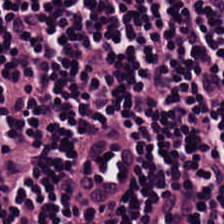FFPE; WSI patch; hematoxylin and eosin.
Showing lymphocytes.
